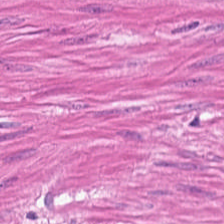H&E stain.
Showing smooth-muscle tissue.
